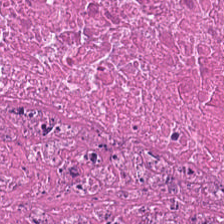Stain: hematoxylin and eosin.
Predominant tissue: cellular debris.
